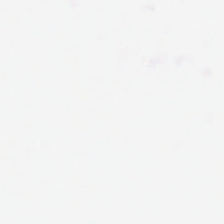Whole-slide-image patch; H&E-stained tissue section. Field content: empty background.
